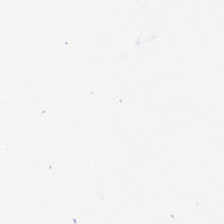No tissue present; background only.
